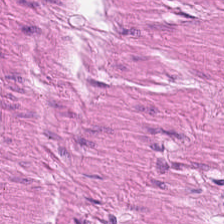H&E-stained tissue section. 0.5 µm/px. FFPE.
Finding — smooth muscle.
